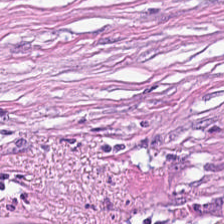FFPE; 224×224 pixel tile; H&E. This patch shows tumor stroma.
